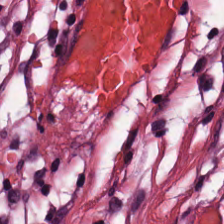Tissue type = tumor stroma.
